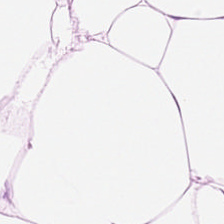Q: What is shown in this field?
A: It is adipocytes.
